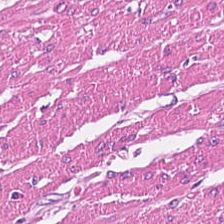H&E · 224×224 px patch — This patch shows smooth-muscle tissue.
